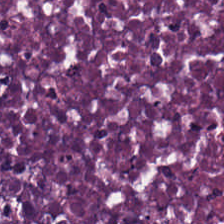The tissue is cellular debris.
